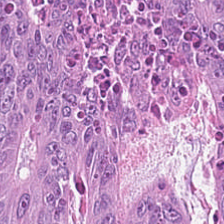H&E. FFPE. Classification = colorectal adenocarcinoma.
